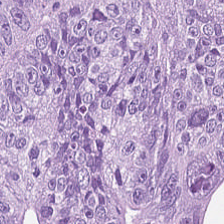Hematoxylin-and-eosin stained section — The classification is colorectal adenocarcinoma.
